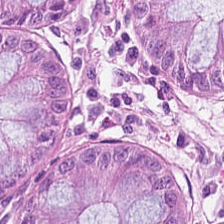224×224 px tile · hematoxylin and eosin. Tissue class: benign colonic mucosa.
